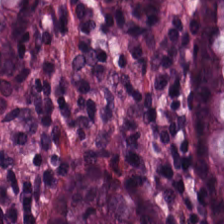H&E stain.
{"tissue_type": "benign colonic mucosa"}
